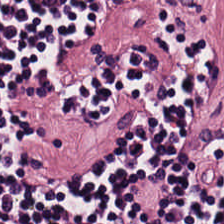Q: What type of tissue is this?
A: The field shows lymphocytes.
